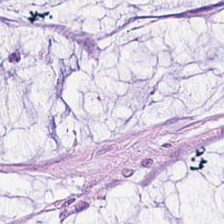Hematoxylin and eosin. Q: What is shown here?
A: Extracellular mucin.
